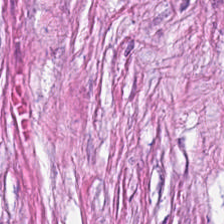H&E-stained tissue section.
Predominantly tumor-associated stroma.
